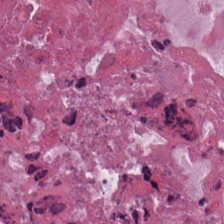FFPE. Hematoxylin and eosin. 20× equivalent magnification — Tissue class — debris.
